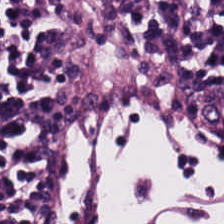224×224 px patch. H&E stain — Predominantly lymphocyte aggregate.
